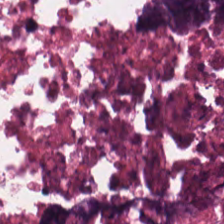20× equivalent magnification · H&E — Q: What tissue is shown?
A: It is necrotic debris.
